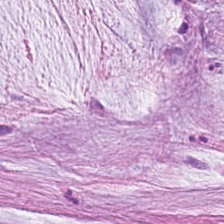Hematoxylin and eosin. 20× equivalent magnification. Brightfield microscopy — Q: Identify the tissue.
A: Extracellular mucin.
